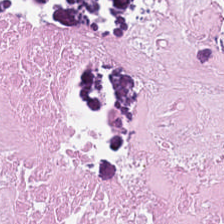Hematoxylin-and-eosin stained section. This patch shows necrotic debris.
